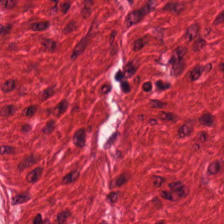Hematoxylin and eosin. FFPE tissue section — Smooth muscle.
